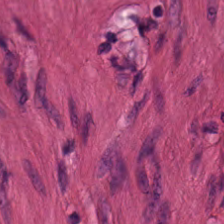Hematoxylin and eosin. FFPE tissue section — Tissue class: muscularis.
